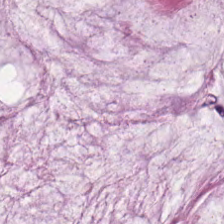H&E-stained section; the field shows extracellular mucin.
